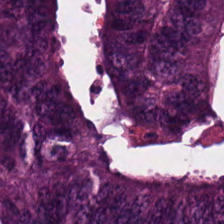Whole-slide-image patch; hematoxylin and eosin; formalin-fixed paraffin-embedded section. Finding → colorectal adenocarcinoma.
